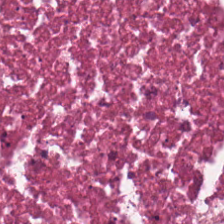Stain: H&E.
Preparation: FFPE tissue section.
Predominant tissue: cellular debris.
